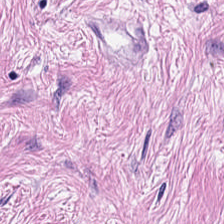Q: What tissue type is shown here?
A: This is cancer-associated stroma.
